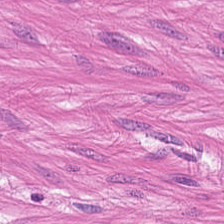Hematoxylin-and-eosin stained section. Brightfield microscopy. 224×224 px patch — Predominantly muscularis.
